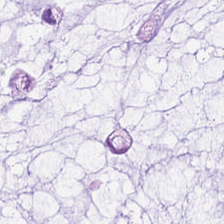H&E stain — Impression → mucin.
